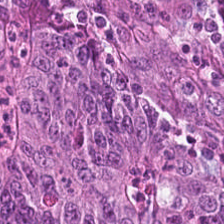FFPE tissue section. H&E-stained tissue section. Brightfield. Histology — malignant epithelium.
